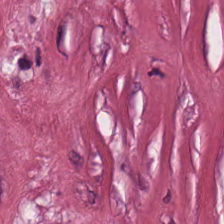H&E stain · 0.5 microns per pixel · 224×224 pixel tile. Tissue type: tumor stroma.
